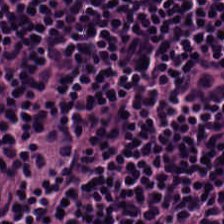H&E — Tissue: lymphoid infiltrate.
